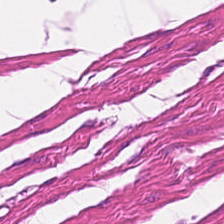H&E stain. The predominant tissue is smooth muscle.
